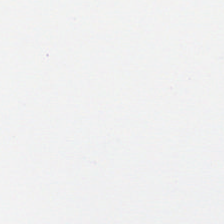H&E stain — Histology — empty background.
